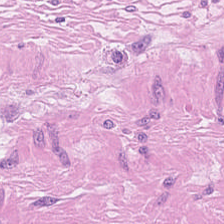The tissue type is smooth muscle.
